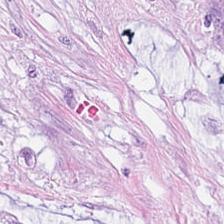Hematoxylin and eosin — Showing mucus.
